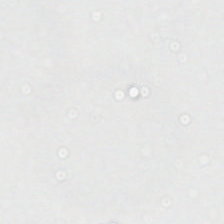Q: What does this patch show?
A: Background.
